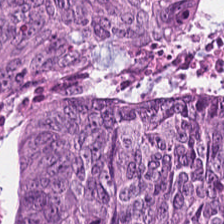Formalin-fixed paraffin-embedded section · H&E-stained tissue section — Impression — colorectal adenocarcinoma epithelium.
